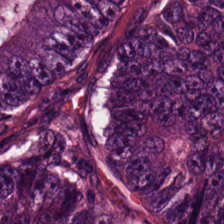Hematoxylin-and-eosin stained section; whole-slide-image patch. Finding → tumor epithelium.
